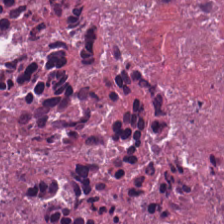Whole-slide-image patch · hematoxylin and eosin.
Q: What is shown here?
A: Cellular debris.
